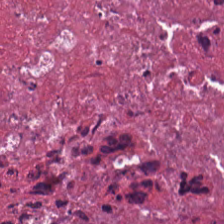H&E stain; 0.5 microns per pixel — {"tissue_type": "debris"}
